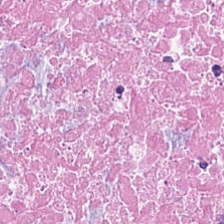FFPE tissue section; H&E stain. This patch shows necrotic debris.
